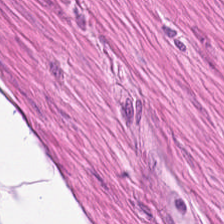Hematoxylin-and-eosin stained section. Formalin-fixed paraffin-embedded section. 224×224 pixel tile.
The classification is smooth muscle.
